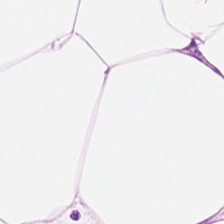H&E stain; 224×224 px patch — Showing fat tissue.
